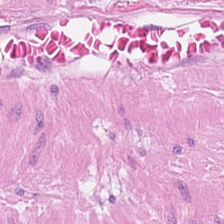H&E stain · WSI patch. Tissue type: muscularis.
